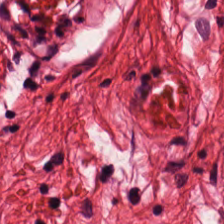Finding — smooth muscle.
